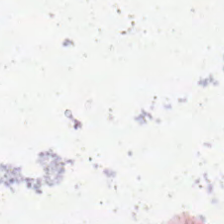H&E. 224×224 pixel tile. Formalin-fixed paraffin-embedded section. Q: What is shown here?
A: Empty background.
